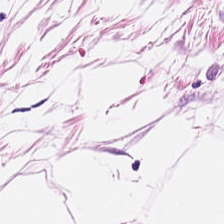224×224 px tile. H&E stain. Predominantly adipose.
